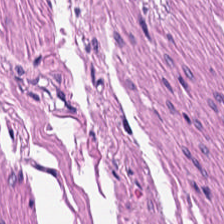Predominantly smooth-muscle tissue.
